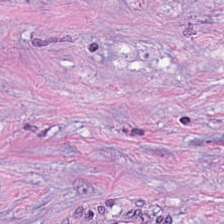Hematoxylin and eosin; 224×224 px patch.
Predominantly desmoplastic stroma.
